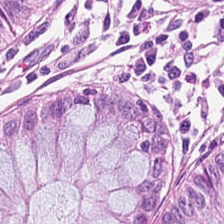H&E stain; 224×224 pixel tile; brightfield microscopy.
This patch shows benign colonic mucosa.
